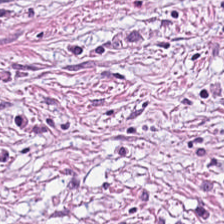H&E.
Cancer-associated stroma.
